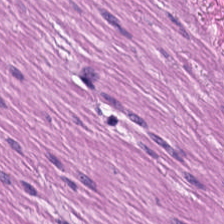H&E stain — Histology → smooth muscle.
